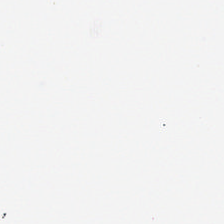0.5 microns per pixel. WSI patch. H&E-stained tissue section.
Q: Classify this patch.
A: It is no tissue.
